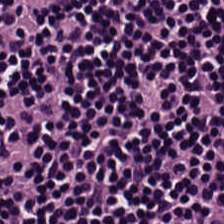Hematoxylin-and-eosin stained section — Q: What tissue type is shown here?
A: The field shows lymphoid infiltrate.
